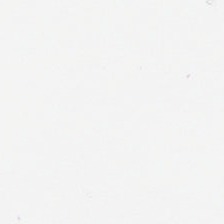H&E stain — This field is background (no tissue).
